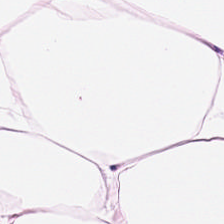H&E.
Showing adipose tissue.
